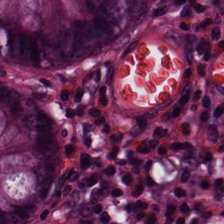H&E stain.
Finding → normal colon mucosa.
